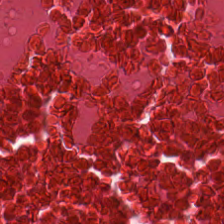Brightfield microscopy. H&E. 224×224 pixel tile.
Tissue = necrotic debris.
